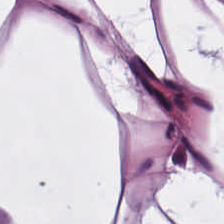WSI patch. Hematoxylin and eosin. 224×224 px tile — Tissue — adipocytes.
